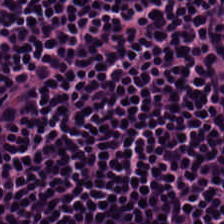H&E stain — Tissue class — lymphoid infiltrate.
